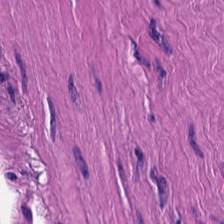FFPE; 20× equivalent magnification; H&E stain — This patch shows smooth-muscle tissue.
